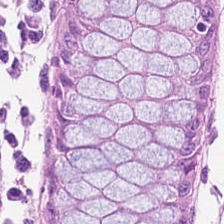Hematoxylin and eosin. Impression — normal colonic mucosa.
